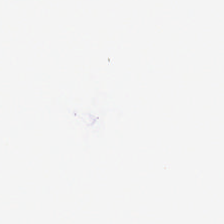H&E stain — {"content": "no tissue"}
